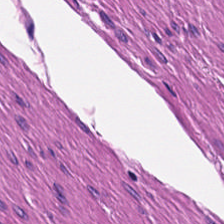H&E — Tissue type — muscularis.
